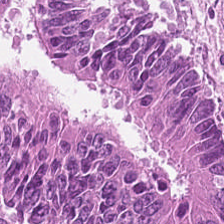H&E-stained tissue section.
This patch shows malignant epithelium.
